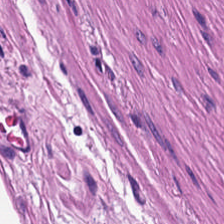FFPE tissue section · 224×224 px tile · H&E stain.
Predominantly muscularis.
